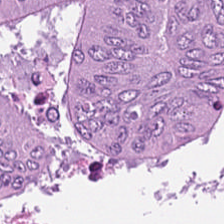H&E — This field is adenocarcinoma.
